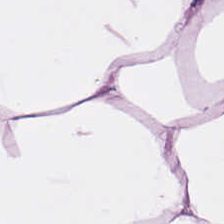H&E stain.
The tissue class is adipose.
